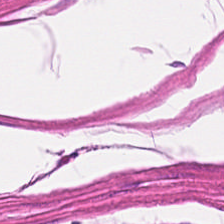Q: What is shown in this field?
A: Smooth muscle.
